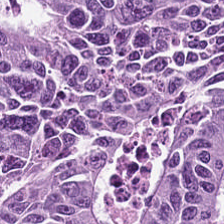224×224 px tile. Formalin-fixed paraffin-embedded section. H&E stain. Q: Identify the tissue.
A: It is tumor epithelium.
